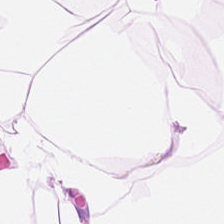Stain: H&E.
Resolution: 0.5 microns per pixel.
Tissue class: adipocytes.
